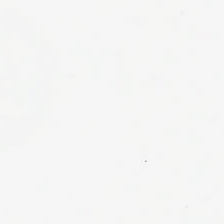H&E stain · whole-slide-image patch — Content — background.
